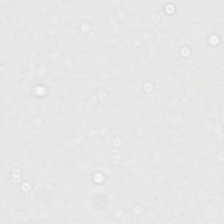Hematoxylin and eosin. 224×224 px patch. 0.5 µm per pixel — Classification — empty background.
